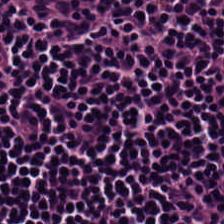224×224 px tile · hematoxylin and eosin.
Q: What is the predominant tissue type?
A: It is lymphocytes.
